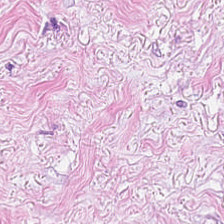Showing tumor-associated stroma.
